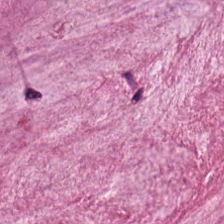224×224 px patch · H&E stain — Impression — extracellular mucin.
